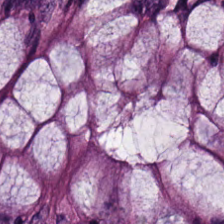This patch shows non-neoplastic colon mucosa.
